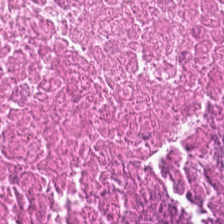224×224 pixel tile · H&E · FFPE — Predominant tissue — cellular debris.
